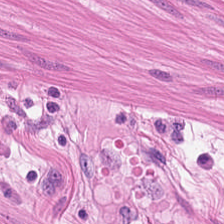H&E — Predominantly smooth muscle.
